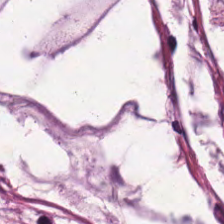H&E-stained tissue section · formalin-fixed paraffin-embedded section — Q: What is shown in this field?
A: It is extracellular mucin.
